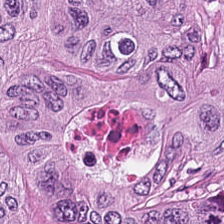H&E stain. Tissue — adenocarcinoma.
